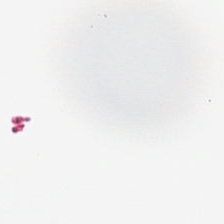Hematoxylin-and-eosin stained section — This field is background (no tissue).
